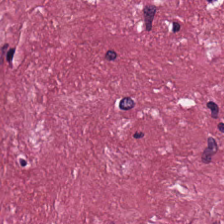H&E stain.
Predominantly desmoplastic stroma.
